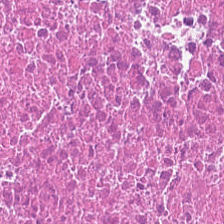H&E-stained tissue section. This patch shows debris.
